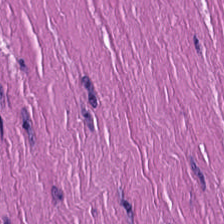Brightfield microscopy · H&E.
Predominant tissue = smooth muscle.
